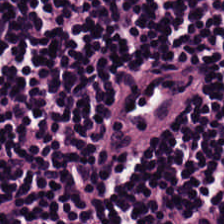H&E. 224×224 px tile. Formalin-fixed paraffin-embedded section — The predominant tissue is lymphocyte aggregate.
